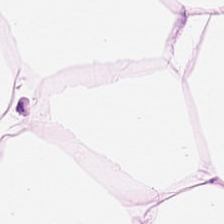Hematoxylin and eosin · 0.5 µm per pixel.
This patch shows adipocytes.
